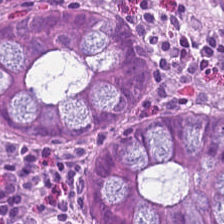H&E.
The predominant tissue is non-neoplastic colon mucosa.
